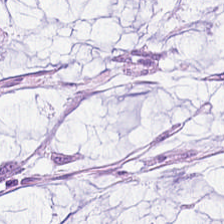Tissue class = mucin.
